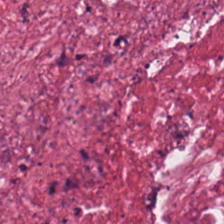Hematoxylin and eosin.
Showing tumor stroma.
